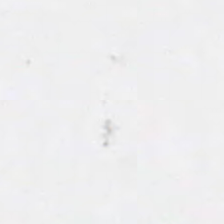Hematoxylin and eosin; formalin-fixed paraffin-embedded section.
Classification: background (no tissue).
